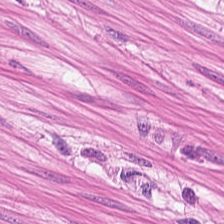224×224 pixel tile · brightfield microscopy · H&E-stained tissue section. Tissue — smooth muscle.
